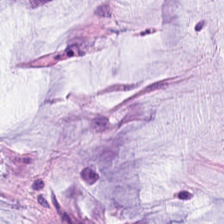Hematoxylin-and-eosin stained section.
Impression → extracellular mucin.
